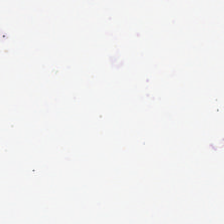Q: What is shown in this field?
A: The field shows background (no tissue).
